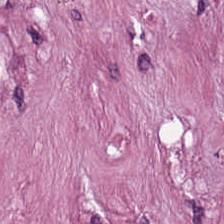H&E-stained tissue section.
Impression — tumor-associated stroma.
